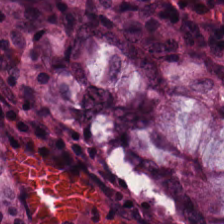Stain: H&E-stained tissue section.
Acquisition: brightfield microscopy.
Resolution: 0.5 µm/px.
Tissue type: normal colon mucosa.
